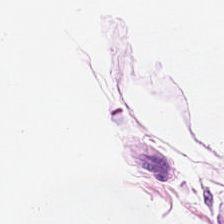H&E-stained tissue section · whole-slide-image patch. This patch shows adipocytes.
